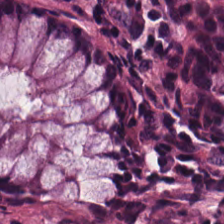Hematoxylin-and-eosin stained section. Classification = benign colonic mucosa.
